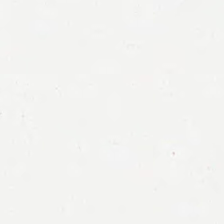FFPE. H&E. 0.5 µm per pixel.
No tissue.
